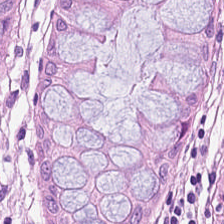0.5 µm per pixel. H&E.
The tissue type is normal colonic mucosa.
